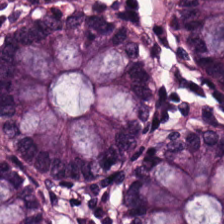FFPE. H&E stain. 0.5 µm per pixel.
Predominant tissue = normal colon mucosa.
